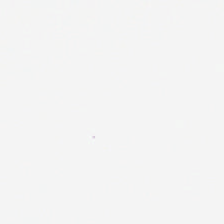Histology → background.
